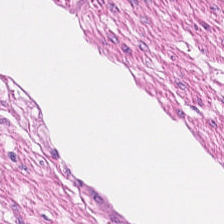H&E-stained tissue section showing muscularis.
